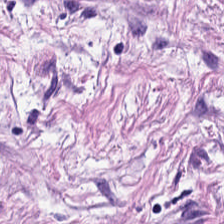H&E-stained section; the field shows tumor stroma.
